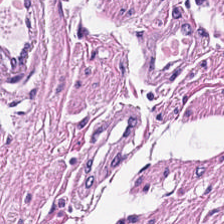H&E. 224×224 px patch. Finding — smooth-muscle tissue.
